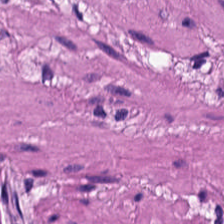Hematoxylin and eosin — Showing smooth-muscle tissue.
